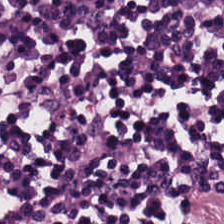H&E.
Predominant tissue = lymphocyte aggregate.
